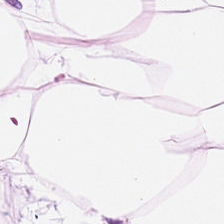H&E-stained tissue section; 0.5 microns per pixel; FFPE.
Finding → adipocytes.
